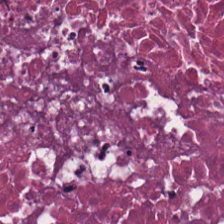H&E-stained tissue section showing cellular debris.
